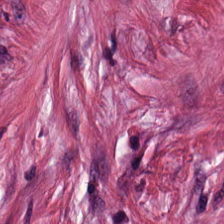Q: What is the predominant tissue type?
A: The field shows desmoplastic stroma.
